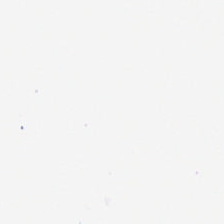Hematoxylin and eosin — This field is background (no tissue).
